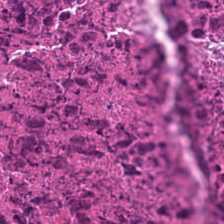Hematoxylin and eosin · formalin-fixed paraffin-embedded section. Debris.
